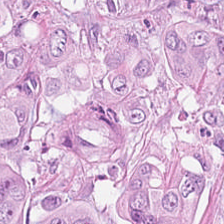Hematoxylin-and-eosin stained section — Tumor epithelium.
